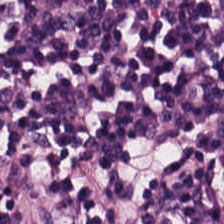H&E stain.
Showing lymphocytic infiltrate.
